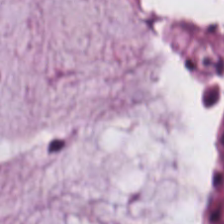Stain: hematoxylin-and-eosin stained section.
Classification: mucus.
